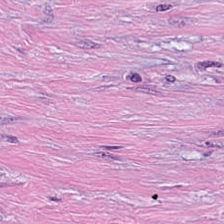Hematoxylin-and-eosin stained section — Impression — cancer-associated stroma.
